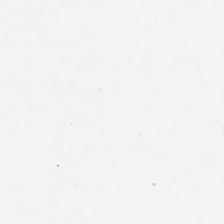Stain: H&E-stained tissue section.
Classification: background.
